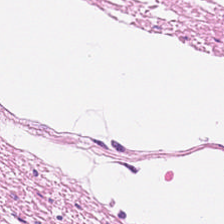Hematoxylin-and-eosin stained section. Smooth muscle.
